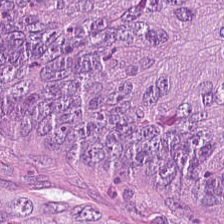224×224 pixel tile. 0.5 microns per pixel. H&E.
{"tissue_type": "tumor epithelium"}
